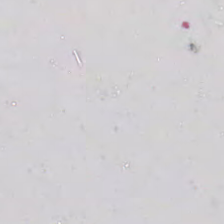224×224 px patch; hematoxylin and eosin. Histology → empty background.
